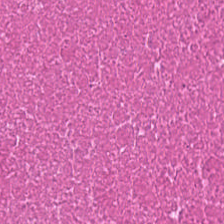H&E. Debris.
